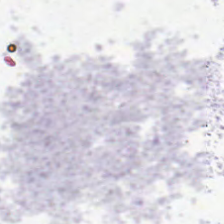H&E-stained tissue section. Impression → no tissue.
